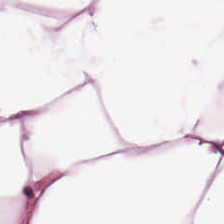Q: What tissue is shown?
A: This is adipose tissue.
